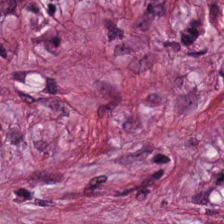H&E; brightfield. Showing tumor stroma.
